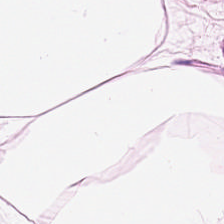H&E. The predominant tissue is adipose.
